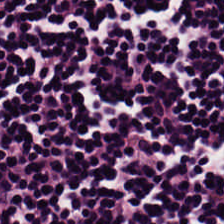H&E-stained tissue section.
Tissue — lymphocytes.
